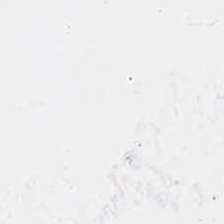H&E stain. Empty background.
